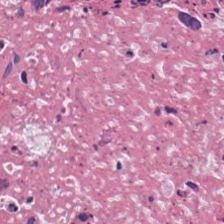Stain: H&E-stained tissue section.
Classification: cellular debris.
